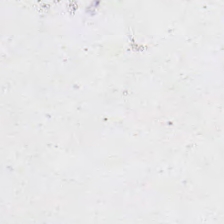224×224 px patch · formalin-fixed paraffin-embedded section · H&E. Field content = background.
